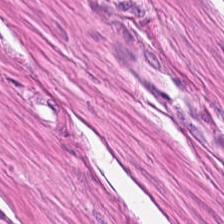Hematoxylin-and-eosin stained section.
The predominant tissue is smooth muscle.
